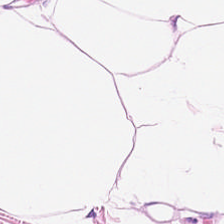H&E-stained tissue section.
Predominant tissue — adipose tissue.
